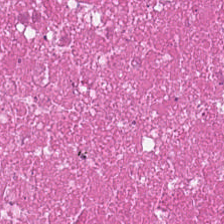Stain: H&E.
Acquisition: brightfield.
Resolution: 0.5 µm per pixel.
Predominant tissue: debris.
